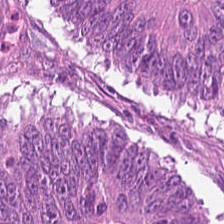Stain: H&E-stained tissue section.
Tissue class: adenocarcinoma.
